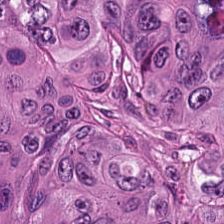Tumor epithelium.
